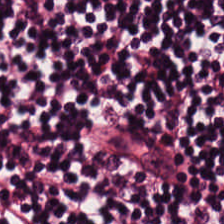H&E stain · whole-slide-image patch. Histology → lymphocytic infiltrate.
